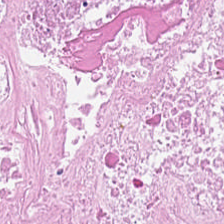H&E-stained tissue section. Brightfield — {"tissue_type": "cellular debris"}
